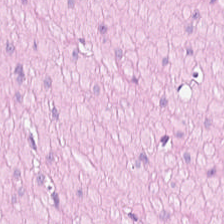Stain: hematoxylin-and-eosin stained section.
Tile size: 224×224 px tile.
Resolution: 0.5 µm per pixel.
Classification: smooth-muscle tissue.
